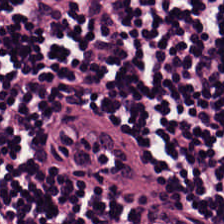0.5 µm per pixel; H&E; 224×224 px patch. The predominant tissue is lymphocyte aggregate.
